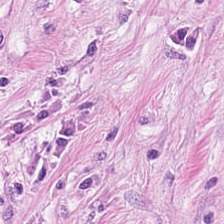H&E stain. The tissue type is tumor-associated stroma.
